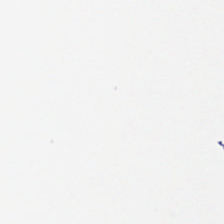Stain: H&E.
Classification: background (no tissue).
